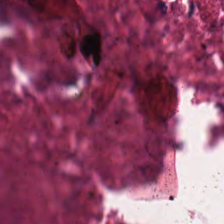Hematoxylin and eosin.
This field is cellular debris.
